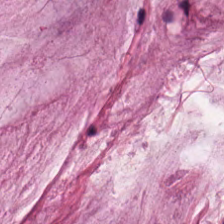Hematoxylin and eosin.
Q: What is shown in this field?
A: The field shows mucin.
